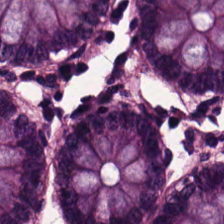Formalin-fixed paraffin-embedded section; H&E stain; 0.5 µm/px. Q: What is shown here?
A: It is non-neoplastic colon mucosa.
